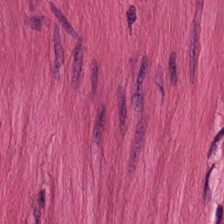H&E. Finding — muscularis.
